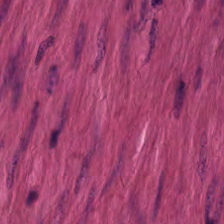Impression → muscularis.
